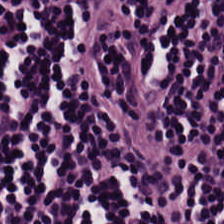WSI patch; H&E-stained tissue section; 20× equivalent magnification — This field is lymphoid infiltrate.
